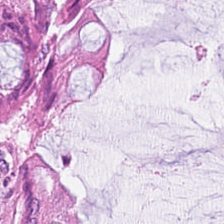Stain: H&E-stained tissue section.
Predominant tissue: normal colon mucosa.
